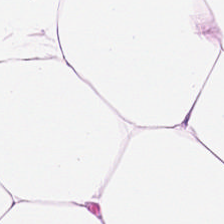Hematoxylin and eosin; 224×224 px patch. {"tissue_type": "adipose"}
